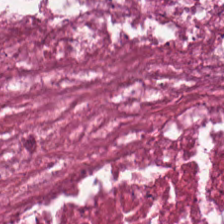H&E · brightfield.
Tissue = debris.
